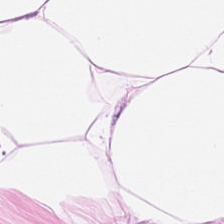H&E patch showing adipose tissue.
